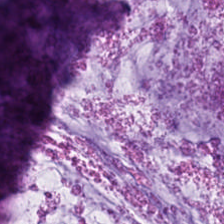This field is extracellular mucin.
